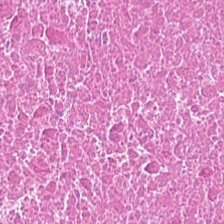Hematoxylin and eosin.
Tissue class = debris.
